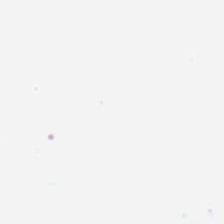H&E. 0.5 microns per pixel. Empty background.
